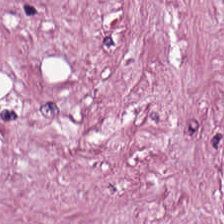Stain: H&E.
Predominant tissue: cancer-associated stroma.
